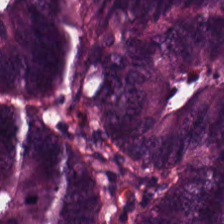Hematoxylin-and-eosin stained section · 224×224 px tile.
The predominant tissue is colorectal adenocarcinoma epithelium.
